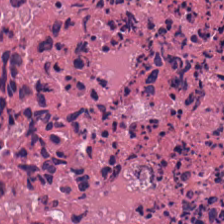WSI patch; H&E stain — This field is cellular debris.
